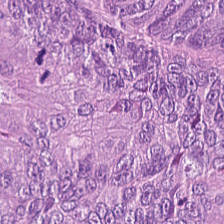Q: Identify the tissue.
A: The field shows tumor epithelium.
